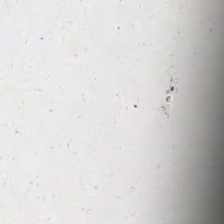H&E-stained tissue section. Classification: empty background.
